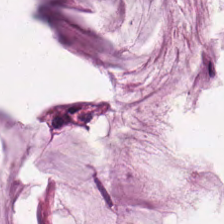Tissue = mucin.
